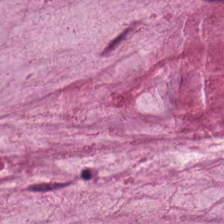H&E-stained tissue section; 20× equivalent magnification. Finding → extracellular mucin.
